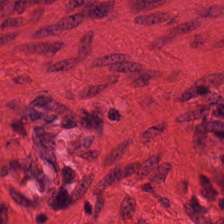Hematoxylin and eosin. This field is smooth muscle.
